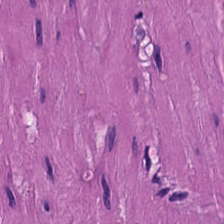H&E stain. 0.5 µm per pixel. 224×224 px tile. Q: Classify this patch.
A: Muscularis.
